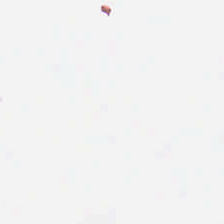Stain: H&E.
Classification: background.
